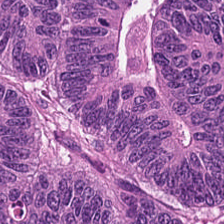Impression — malignant epithelium.
